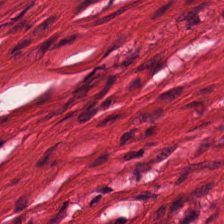Stain: H&E stain.
Acquisition: brightfield.
Tissue type: muscularis.
